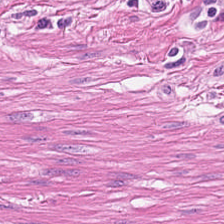0.5 µm/px; hematoxylin-and-eosin stained section. Impression → smooth-muscle tissue.
